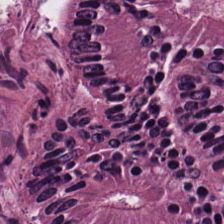0.5 µm/px; H&E stain; whole-slide-image patch.
Predominant tissue: tumor epithelium.
